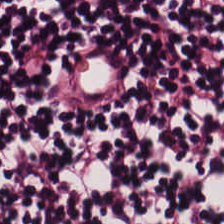Stain: H&E stain.
Tissue type: lymphoid infiltrate.
